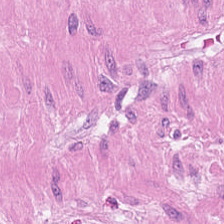Formalin-fixed paraffin-embedded section · H&E-stained tissue section — Smooth-muscle tissue.
